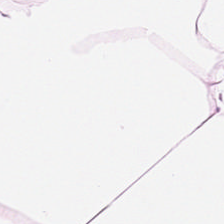Tissue type — adipose.
